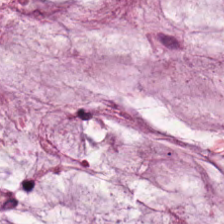H&E stain. Classification = mucin.
